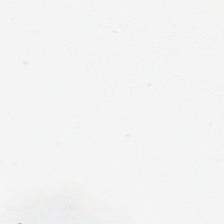Stain: H&E.
Field content: no tissue.
